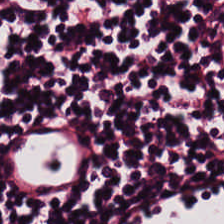Hematoxylin and eosin; FFPE tissue section — The tissue type is lymphocytic infiltrate.
